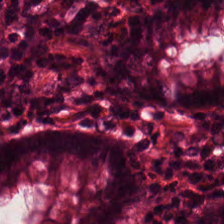224×224 px tile; hematoxylin and eosin — Tissue class: benign colonic mucosa.
